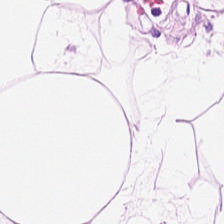Hematoxylin and eosin. Brightfield. Q: Identify the tissue.
A: It is adipose tissue.
